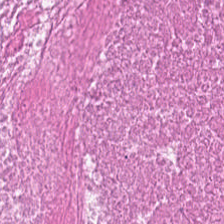224×224 pixel tile; H&E.
This field is debris.
